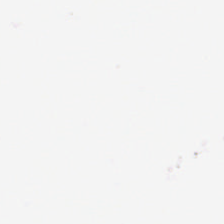Hematoxylin and eosin · formalin-fixed paraffin-embedded section.
Impression → background (no tissue).
